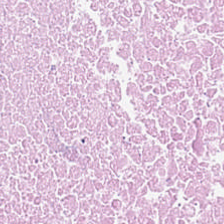H&E stain. FFPE tissue section — Tissue = cellular debris.
